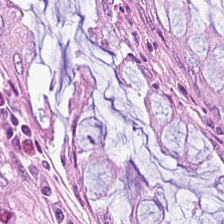Stain: H&E stain.
Tissue class: normal colon mucosa.
